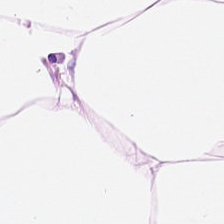Hematoxylin and eosin.
Q: What is shown in this field?
A: Adipose.
